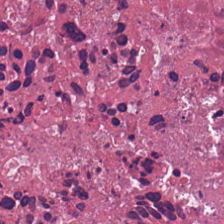H&E-stained tissue section. The tissue type is necrotic debris.
